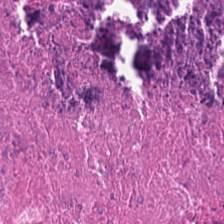H&E. The tissue here is debris.
